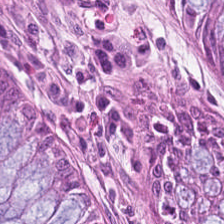Hematoxylin-and-eosin section: normal colon mucosa.
